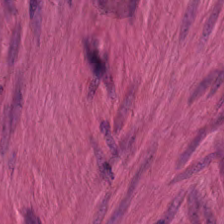The tissue class is smooth muscle.
